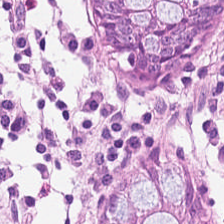Stain: hematoxylin-and-eosin stained section.
Tissue class: normal colon mucosa.
